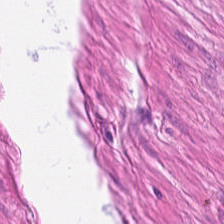Hematoxylin and eosin — The predominant tissue is muscularis.
